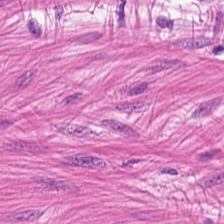H&E · 20× equivalent magnification — Impression → smooth muscle.
